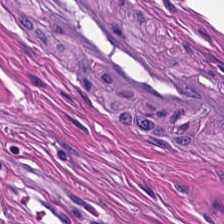H&E-stained tissue section.
Q: What tissue is shown?
A: This is muscularis.
